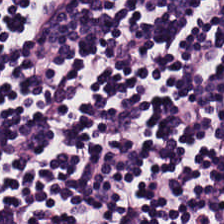H&E stain; formalin-fixed paraffin-embedded section — The predominant tissue is lymphocytic infiltrate.
